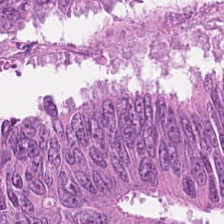224×224 px patch · H&E stain · 20× equivalent magnification — This field is tumor epithelium.
